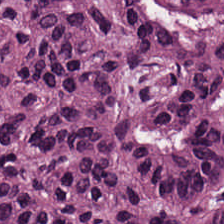Hematoxylin-and-eosin stained section — This patch shows malignant epithelium.
